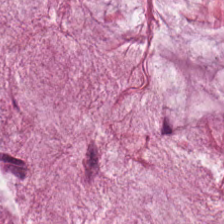Classification = extracellular mucin.
